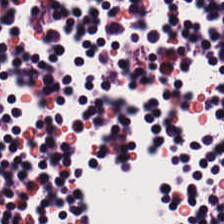H&E-stained tissue section; 0.5 µm/px.
This patch shows lymphocytes.
